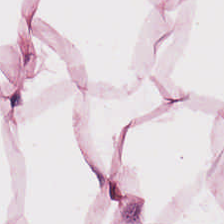H&E-stained tissue section. This patch shows adipocytes.
